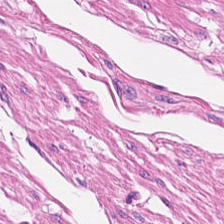Hematoxylin and eosin · 224×224 px patch.
Q: What tissue is shown?
A: This is smooth-muscle tissue.
